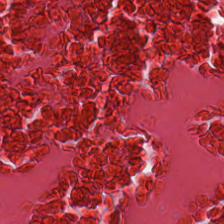Q: What tissue is shown?
A: It is cellular debris.
